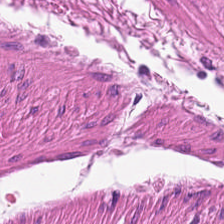224×224 px tile; 0.5 µm/px; hematoxylin and eosin.
Predominant tissue: muscularis.
